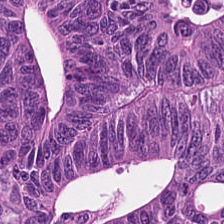Stain: H&E.
Predominant tissue: malignant epithelium.
